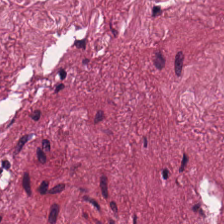H&E — The tissue is tumor stroma.
